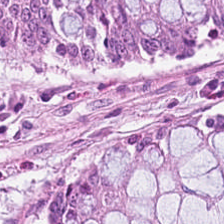Q: What does this patch show?
A: Normal colonic mucosa.
